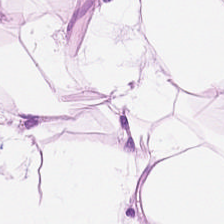0.5 µm per pixel; H&E. Showing fat tissue.
